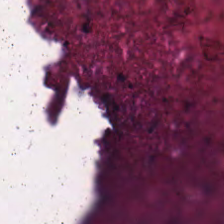H&E-stained tissue section.
Q: What is shown here?
A: Cellular debris.
